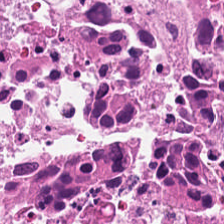Hematoxylin and eosin — Q: What does this patch show?
A: This is necrotic debris.
